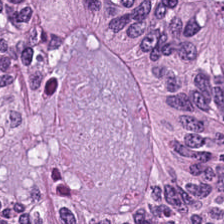Hematoxylin-and-eosin stained section.
This field is malignant epithelium.
